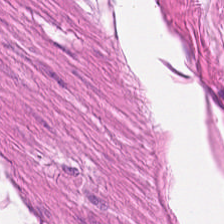Q: What tissue type is shown here?
A: The field shows smooth muscle.
